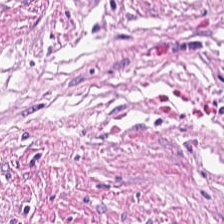0.5 µm/px. 224×224 px tile. H&E. The classification is cancer-associated stroma.
